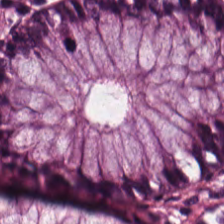Hematoxylin and eosin. 0.5 µm per pixel. Q: Classify this patch.
A: The field shows benign colonic mucosa.
